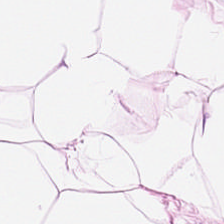Q: What tissue is shown?
A: This is adipose tissue.
